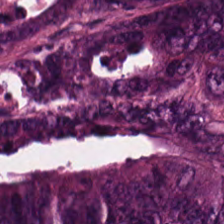224×224 px tile; H&E stain. Predominantly tumor epithelium.
